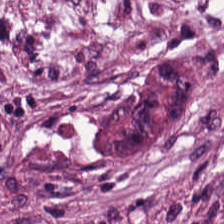H&E stain. Q: Identify the tissue.
A: Tumor-associated stroma.
